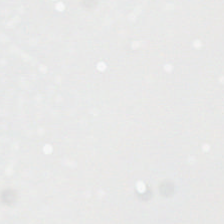Empty field — background.
